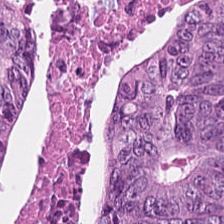The tissue type is tumor epithelium.
